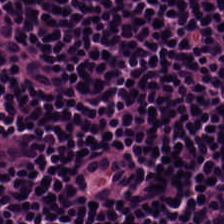H&E stain. Predominant tissue: lymphocytes.
